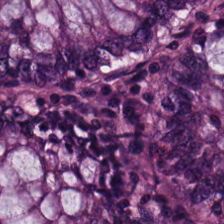H&E patch showing non-neoplastic colon mucosa.
